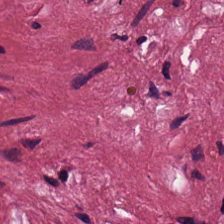WSI patch. H&E stain — The tissue here is tumor-associated stroma.
